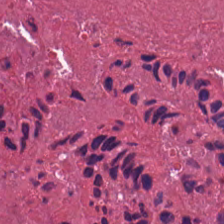H&E-stained tissue section · brightfield microscopy. Predominantly necrotic debris.
